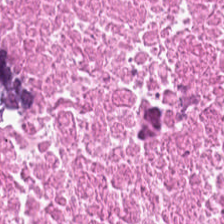224×224 px tile; H&E. Tissue = necrotic debris.
